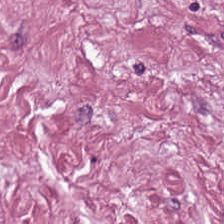224×224 px patch. H&E-stained tissue section. This field is cancer-associated stroma.
